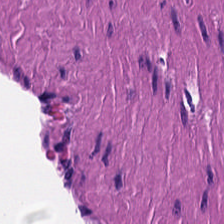H&E stain · 224×224 px tile.
Impression → smooth-muscle tissue.
